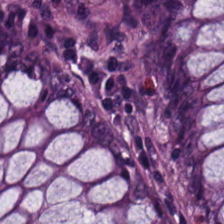H&E. Whole-slide-image patch. The predominant tissue is normal colonic mucosa.
